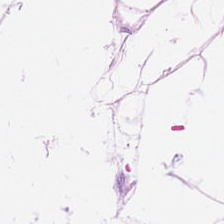H&E stain. Showing adipose.
